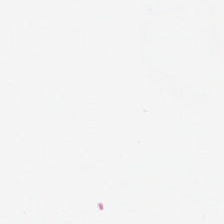Hematoxylin-and-eosin stained section. No tissue present; background only.
